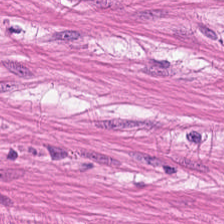WSI patch; H&E-stained tissue section; FFPE tissue section.
{"tissue_type": "muscularis"}
